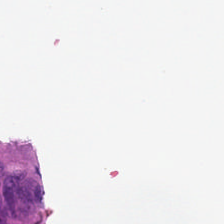H&E stain. Impression — background.
